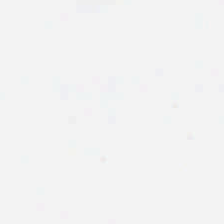Q: Classify this patch.
A: Background.
